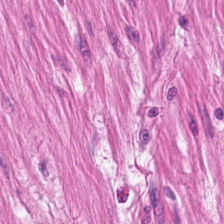H&E.
The predominant tissue is smooth muscle.
